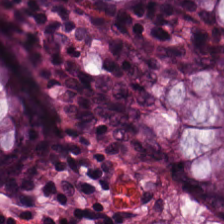Hematoxylin and eosin — Q: What type of tissue is this?
A: Normal colonic mucosa.
